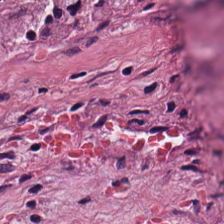224×224 px patch; H&E — Predominant tissue = tumor stroma.
